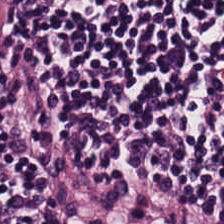Formalin-fixed paraffin-embedded section · 224×224 px tile · H&E stain.
Tissue class — lymphocytic infiltrate.
